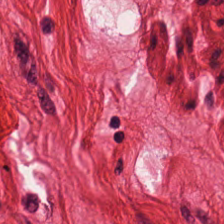H&E. Q: What type of tissue is this?
A: It is smooth-muscle tissue.
